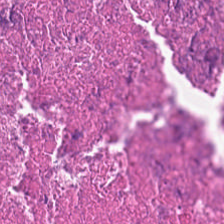Hematoxylin-and-eosin stained section. Tissue type = debris.
